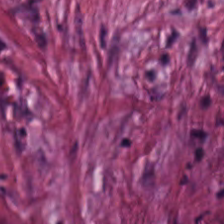Hematoxylin and eosin. This patch shows desmoplastic stroma.
